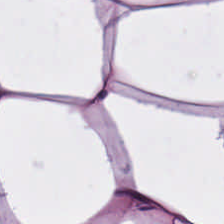Hematoxylin-and-eosin stained section.
Adipose tissue.
